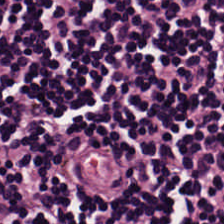Tissue class = lymphocyte aggregate.
